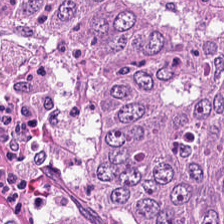Brightfield. FFPE. Hematoxylin-and-eosin stained section. Impression — adenocarcinoma.
